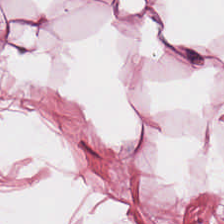H&E; 224×224 px patch; 0.5 µm per pixel — Fat tissue.
